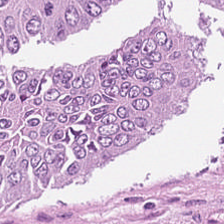224×224 px patch. H&E. FFPE tissue section — This patch shows adenocarcinoma.
